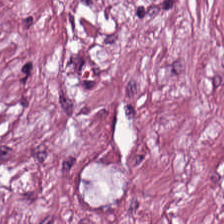H&E-stained tissue section; 0.5 µm per pixel; brightfield microscopy.
Showing desmoplastic stroma.
